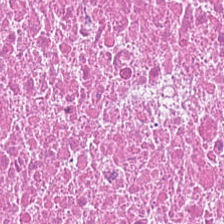H&E stain. WSI patch. Q: What is the predominant tissue type?
A: The field shows cellular debris.
